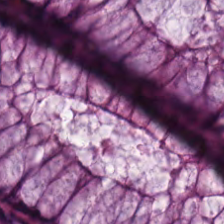Q: What type of tissue is this?
A: Normal colon mucosa.
